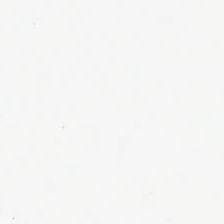20× equivalent magnification. Hematoxylin-and-eosin stained section. Brightfield microscopy — Field content = no tissue.
